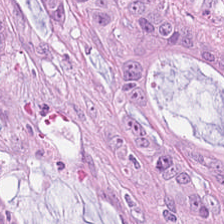Hematoxylin and eosin.
The predominant tissue is tumor epithelium.
